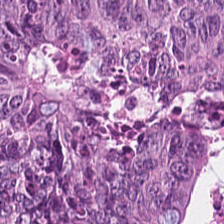Q: What does this patch show?
A: The field shows colorectal adenocarcinoma epithelium.
